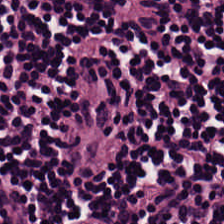224×224 px tile. H&E. 0.5 µm per pixel. The tissue here is lymphocytic infiltrate.
